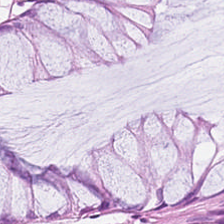The tissue is non-neoplastic colon mucosa.
